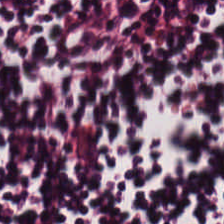H&E-stained tissue section.
The tissue class is lymphocytes.
